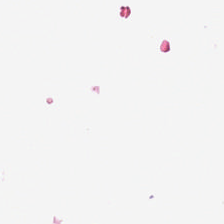0.5 µm per pixel; H&E stain; FFPE tissue section.
Q: Classify this patch.
A: The field shows no tissue.
